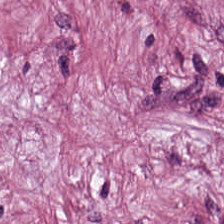H&E · 224×224 px tile · FFPE tissue section.
Q: What is shown in this field?
A: The field shows cancer-associated stroma.
